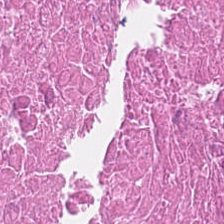Hematoxylin-and-eosin stained section. This patch shows cellular debris.
